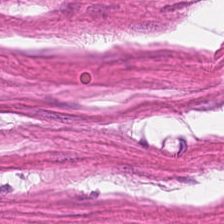Hematoxylin-and-eosin stained section.
The predominant tissue is muscularis.
